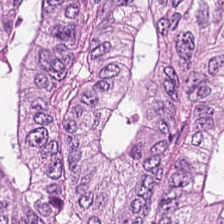H&E-stained tissue section. The predominant tissue is colorectal adenocarcinoma epithelium.
